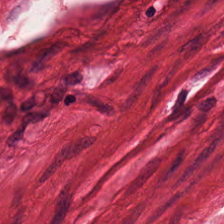Hematoxylin-and-eosin stained section. WSI patch — {"tissue_type": "muscularis"}
